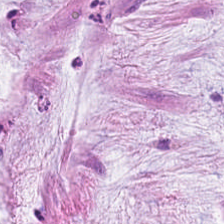H&E — This patch shows extracellular mucin.
